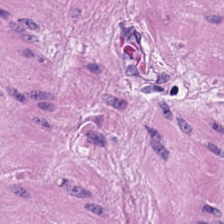Q: What is shown in this field?
A: The field shows smooth-muscle tissue.
